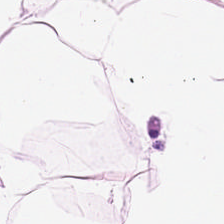H&E-stained tissue section showing adipose.
